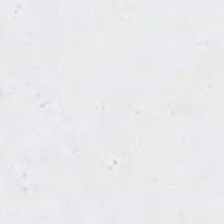Content — empty background.
